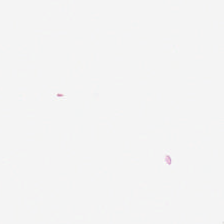Stain: hematoxylin-and-eosin stained section.
Resolution: 0.5 µm per pixel.
Field content: background (no tissue).
